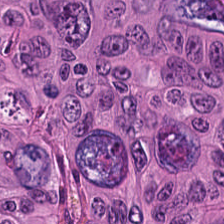Finding → colorectal adenocarcinoma epithelium.
